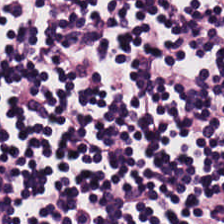Hematoxylin and eosin — Lymphoid infiltrate.
